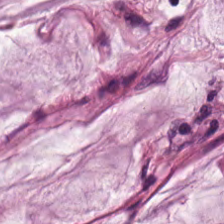H&E-stained tissue section. Tissue class: mucus.
